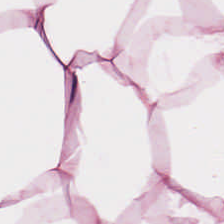H&E-stained tissue section — Classification = adipose tissue.
